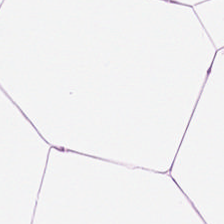224×224 pixel tile; hematoxylin and eosin. This field is adipocytes.
